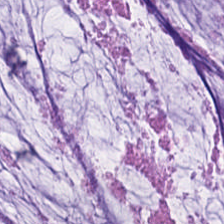Q: What is the predominant tissue type?
A: This is extracellular mucin.
